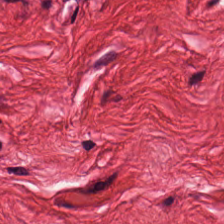0.5 µm per pixel; brightfield microscopy; hematoxylin-and-eosin stained section — Finding → muscularis.
